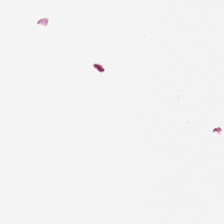H&E. Content — no tissue.
